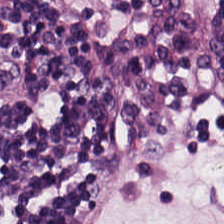H&E-stained tissue section. Q: What tissue type is shown here?
A: This is lymphocytes.
